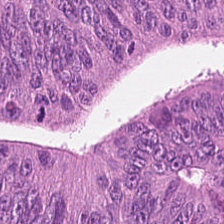Impression → malignant epithelium.
